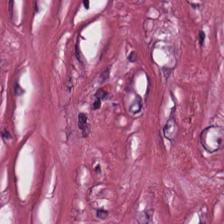FFPE; WSI patch; H&E-stained tissue section — Classification: desmoplastic stroma.
